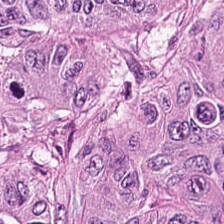Stain: hematoxylin-and-eosin stained section.
Preparation: FFPE tissue section.
Tissue: colorectal adenocarcinoma.
